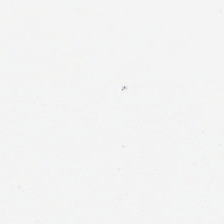H&E. Empty field — empty background.
